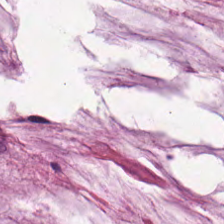H&E-stained tissue section.
This field is mucin.
